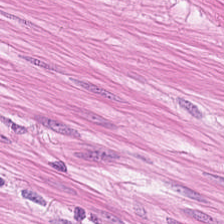0.5 µm per pixel · H&E-stained tissue section.
Showing muscularis.
